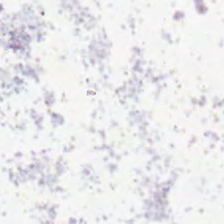Stain: H&E-stained tissue section.
Acquisition: WSI patch.
Resolution: 0.5 µm/px.
Classification: background (no tissue).
